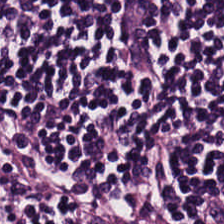0.5 µm per pixel; H&E; 224×224 px tile — Tissue class — lymphocytes.
